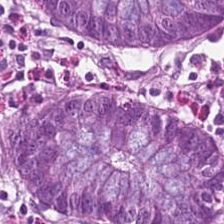Stain: hematoxylin and eosin.
Tile size: 224×224 px tile.
Acquisition: brightfield.
Tissue: normal colon mucosa.
